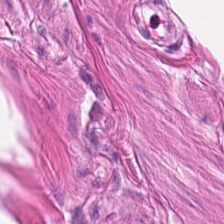224×224 px patch; 0.5 µm/px; hematoxylin and eosin.
The classification is muscularis.
